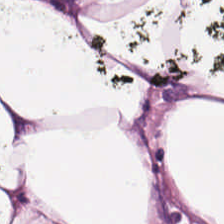0.5 µm per pixel. Hematoxylin and eosin. Tissue = fat tissue.
